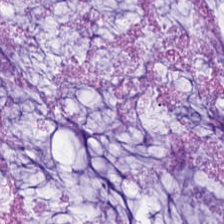H&E.
Finding — mucus.
